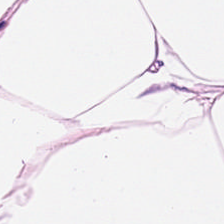Hematoxylin-and-eosin stained section.
The predominant tissue is adipocytes.
